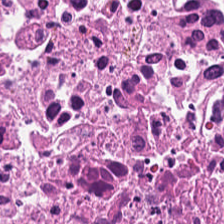Hematoxylin-and-eosin stained section.
Histology → necrotic debris.
